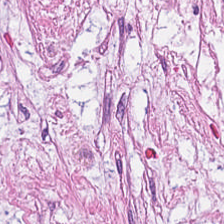Q: Identify the tissue.
A: It is cancer-associated stroma.
